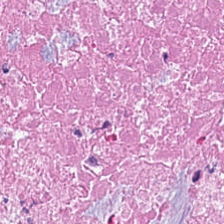H&E-stained tissue section.
Tissue type = cellular debris.
